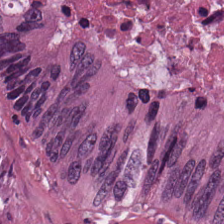Stain: hematoxylin and eosin.
Resolution: 0.5 microns per pixel.
Tissue class: necrotic debris.
